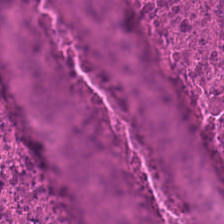Hematoxylin-and-eosin stained section; brightfield; 224×224 px patch — This field is debris.
